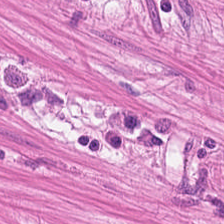Stain: H&E stain.
Tissue class: smooth muscle.
